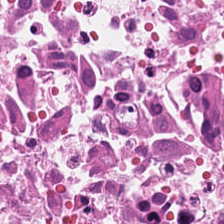Formalin-fixed paraffin-embedded section. Hematoxylin and eosin. 224×224 pixel tile.
Showing necrotic debris.
